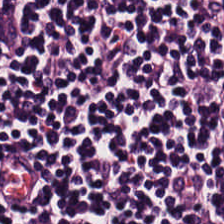Histology → lymphoid infiltrate.
